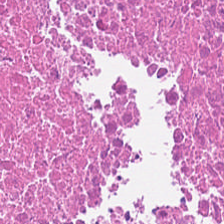Hematoxylin-and-eosin stained section.
Tissue type — debris.
